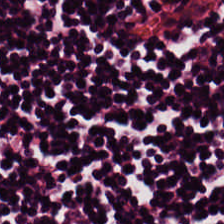Whole-slide-image patch · FFPE tissue section · H&E-stained tissue section.
Lymphocyte aggregate.
